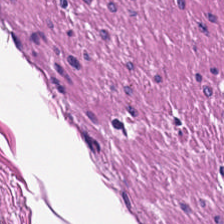Tissue — muscularis.
